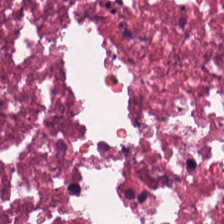H&E-stained tissue section — Tissue class = necrotic debris.
